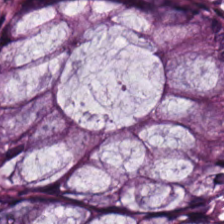H&E · 0.5 µm per pixel.
This patch shows benign colonic mucosa.
